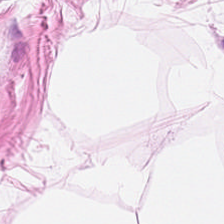Stain: H&E stain.
Tissue class: adipocytes.
